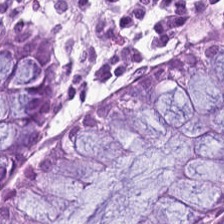Stain: H&E.
Tile size: 224×224 pixel tile.
Tissue: benign colonic mucosa.
